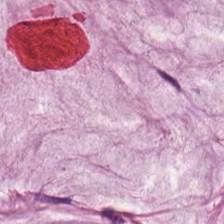0.5 µm/px. Hematoxylin-and-eosin stained section. Q: What does this patch show?
A: It is extracellular mucin.
